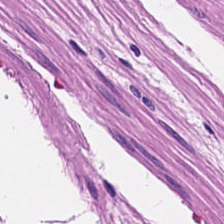H&E-stained tissue section. Showing smooth-muscle tissue.
